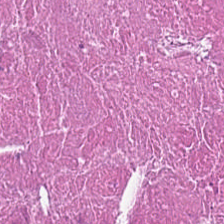Hematoxylin-and-eosin stained section.
Q: What type of tissue is this?
A: The field shows debris.
